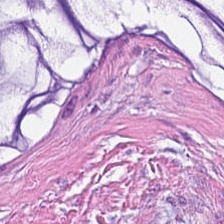H&E stain. Histology — extracellular mucin.
